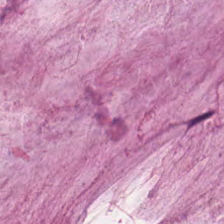H&E — This field is mucus.
